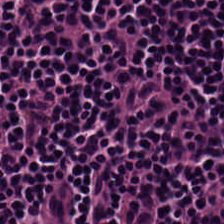H&E stain — Q: What is the predominant tissue type?
A: It is lymphocytes.
